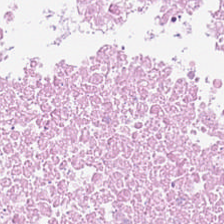Stain: hematoxylin-and-eosin stained section.
Tissue class: cellular debris.
